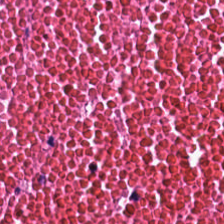H&E stain · WSI patch. This field is necrotic debris.
